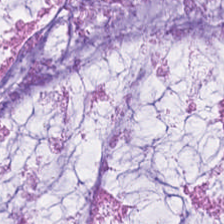Brightfield. H&E stain — Impression — mucin.
